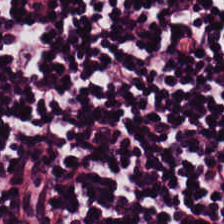H&E-stained tissue section showing lymphocytes.
